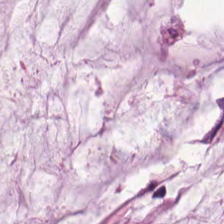H&E-stained tissue section. WSI patch. {"tissue_type": "mucin"}
